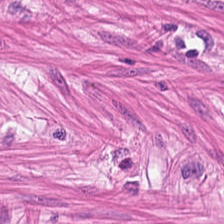Hematoxylin-and-eosin stained section — Q: Identify the tissue.
A: This is muscularis.
